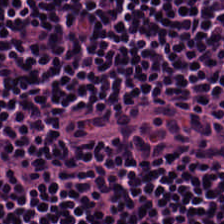0.5 µm/px. Hematoxylin-and-eosin stained section. Brightfield.
Showing lymphoid infiltrate.
